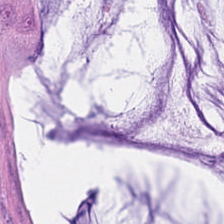224×224 pixel tile; brightfield microscopy; H&E-stained tissue section — The tissue here is mucin.
